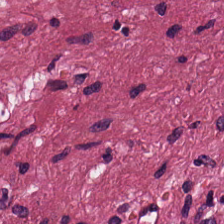Stain: H&E-stained tissue section.
Acquisition: whole-slide-image patch.
Predominant tissue: tumor-associated stroma.
